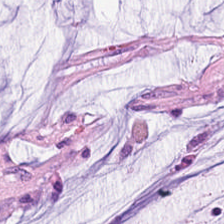Finding → mucin.
